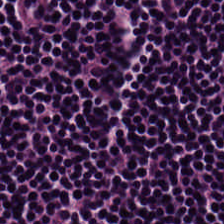224×224 px tile. Hematoxylin-and-eosin stained section. Whole-slide-image patch. {"tissue_type": "lymphocyte aggregate"}
